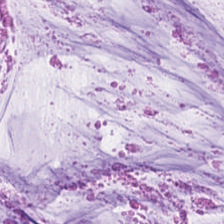224×224 px patch. Hematoxylin and eosin.
The classification is mucin.
